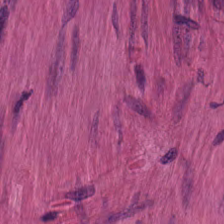Hematoxylin and eosin; formalin-fixed paraffin-embedded section — Showing smooth muscle.
